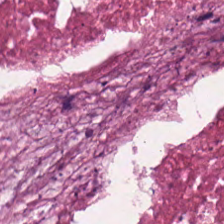0.5 microns per pixel; brightfield microscopy; H&E — Showing cellular debris.
